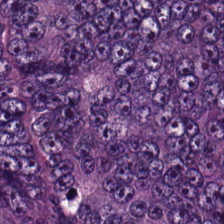Hematoxylin-and-eosin section: adenocarcinoma.
